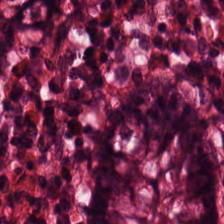Hematoxylin-and-eosin stained section. 224×224 pixel tile. Brightfield microscopy. Tissue type = benign colonic mucosa.
